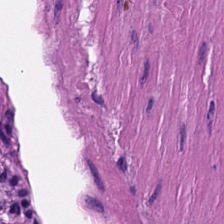H&E-stained tissue section.
Predominant tissue: muscularis.
